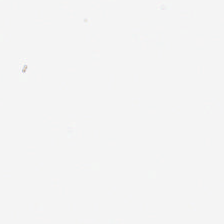0.5 microns per pixel; H&E. Q: What is shown in this field?
A: It is background (no tissue).
